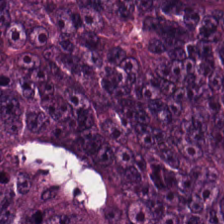Showing malignant epithelium.
